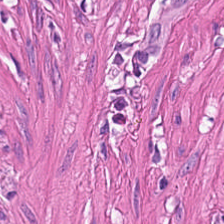Tissue type: smooth-muscle tissue.
